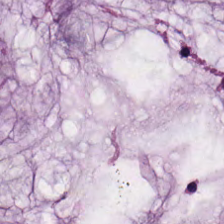Showing mucin.
